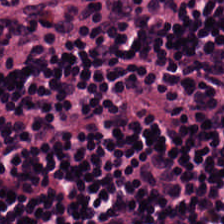H&E-stained section; the field shows lymphocytic infiltrate.
